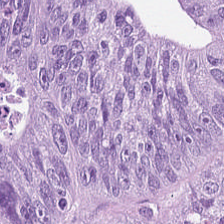224×224 px patch · H&E — The tissue here is colorectal adenocarcinoma.
